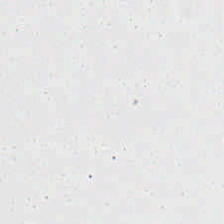Hematoxylin and eosin · whole-slide-image patch.
Q: What is shown in this field?
A: This is background (no tissue).
